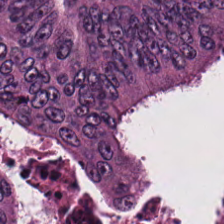Tissue type: adenocarcinoma.
